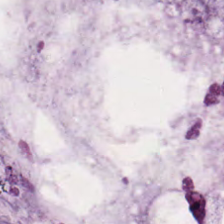Hematoxylin and eosin — This patch shows mucus.
